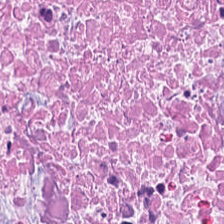Impression — debris.
